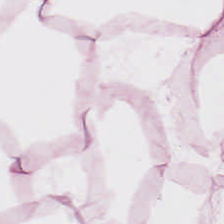Whole-slide-image patch · FFPE · H&E. The predominant tissue is adipocytes.
